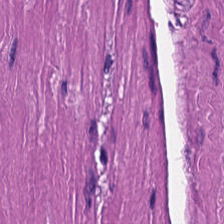Hematoxylin-and-eosin stained section. 0.5 microns per pixel.
Predominantly muscularis.
